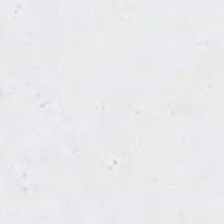H&E. FFPE tissue section. No tissue present; background only.
